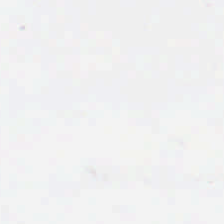H&E stain.
Q: What does this patch show?
A: It is empty background.
